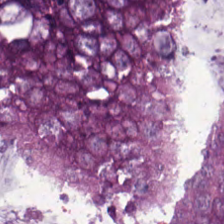Hematoxylin-and-eosin stained section. Q: What type of tissue is this?
A: This is malignant epithelium.
